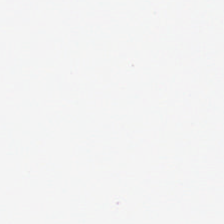Hematoxylin and eosin · brightfield — The classification is background.
